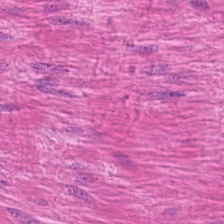Tissue class = muscularis.
